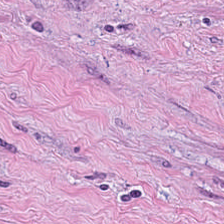H&E-stained tissue section · 224×224 px tile. Showing desmoplastic stroma.
